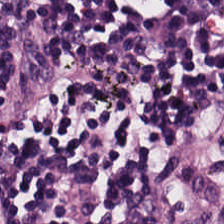20× equivalent magnification · H&E-stained tissue section · FFPE. Q: What does this patch show?
A: It is lymphoid infiltrate.
